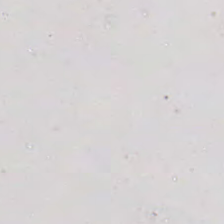Stain: hematoxylin and eosin.
Classification: no tissue.
